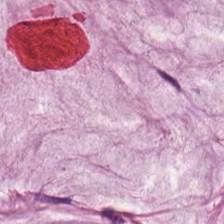H&E stain; brightfield microscopy.
Tissue type: extracellular mucin.
